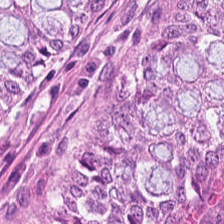H&E-stained tissue section — Predominant tissue = benign colonic mucosa.
